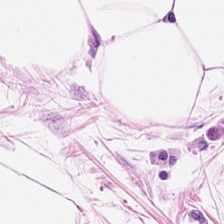Brightfield microscopy · 224×224 px tile · hematoxylin and eosin. Q: What type of tissue is this?
A: Adipose tissue.
